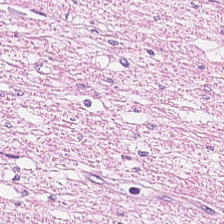Hematoxylin-and-eosin stained section.
This field is muscularis.
